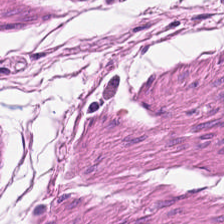Q: What is the predominant tissue type?
A: This is smooth-muscle tissue.
